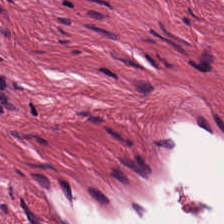Predominantly cancer-associated stroma.
